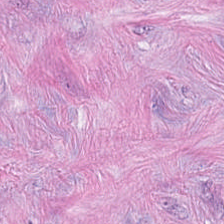H&E. Q: What tissue is shown?
A: It is cancer-associated stroma.
